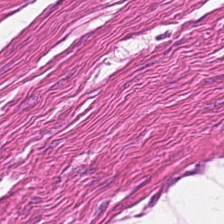Hematoxylin-and-eosin stained section · formalin-fixed paraffin-embedded section · whole-slide-image patch. Tissue class = muscularis.
